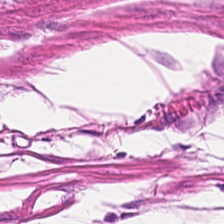Showing muscularis.
